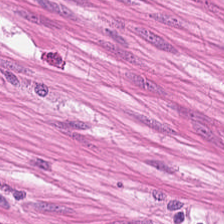H&E-stained tissue section showing smooth muscle.
